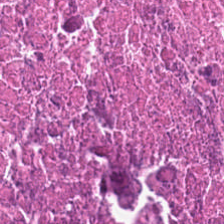Hematoxylin and eosin.
Predominantly necrotic debris.
